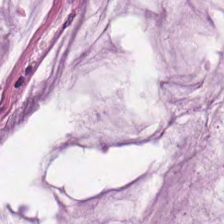Hematoxylin and eosin; formalin-fixed paraffin-embedded section.
Impression → mucin.
